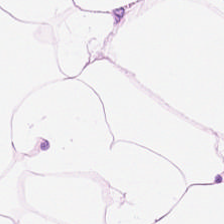FFPE; 0.5 µm per pixel; H&E. Q: What does this patch show?
A: The field shows adipocytes.
